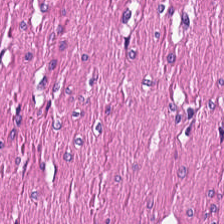Hematoxylin and eosin — Q: What is shown in this field?
A: The field shows smooth muscle.
